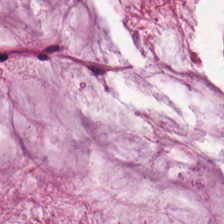Hematoxylin and eosin. Formalin-fixed paraffin-embedded section. 20× equivalent magnification. Predominant tissue — mucin.
